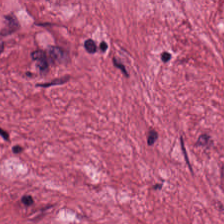H&E.
Q: What does this patch show?
A: It is tumor stroma.
